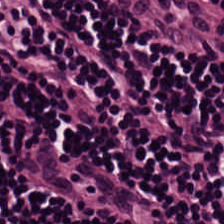Whole-slide-image patch · 224×224 px patch · hematoxylin-and-eosin stained section — Q: Classify this patch.
A: This is lymphocytic infiltrate.
